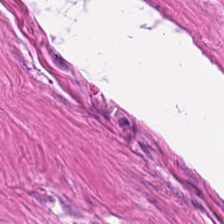H&E-stained tissue section.
Classification: smooth-muscle tissue.
